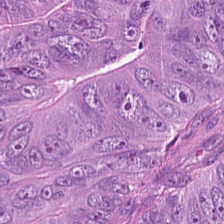Finding → adenocarcinoma.
